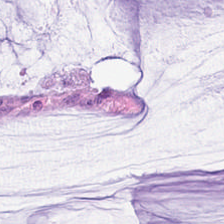H&E.
Classification: mucus.
